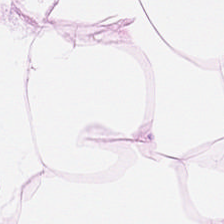{"tissue_type": "adipose"}
